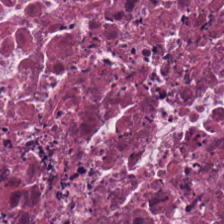H&E. This patch shows debris.
